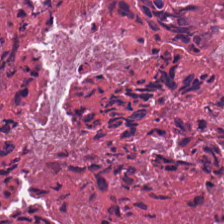H&E stain · 20× equivalent magnification — {"tissue_type": "cellular debris"}
